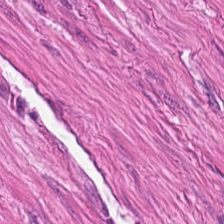Q: What does this patch show?
A: This is muscularis.
